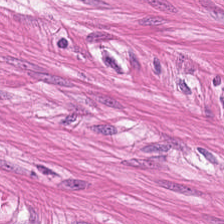Hematoxylin and eosin; WSI patch — The predominant tissue is smooth muscle.
